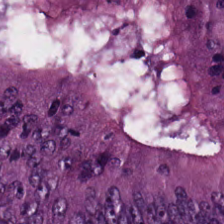0.5 microns per pixel. H&E stain — The tissue here is adenocarcinoma.
